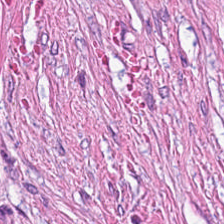Hematoxylin-and-eosin stained section.
Classification = tumor stroma.
